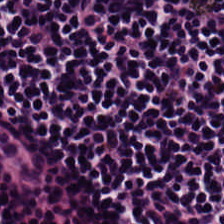Stain: hematoxylin-and-eosin stained section.
Preparation: FFPE tissue section.
Classification: lymphocyte aggregate.
